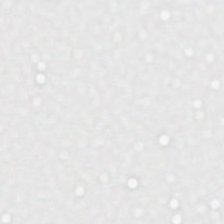Whole-slide-image patch. H&E stain. FFPE — {"content": "no tissue"}
